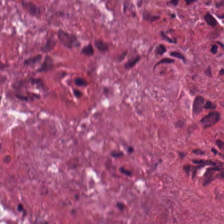Formalin-fixed paraffin-embedded section; hematoxylin-and-eosin stained section. {"tissue_type": "cellular debris"}
